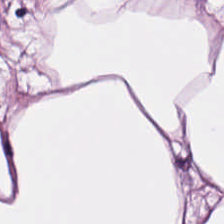Formalin-fixed paraffin-embedded section. H&E stain. 0.5 µm/px.
Showing adipose.
